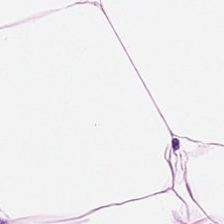H&E stain; WSI patch. The tissue class is adipose tissue.
